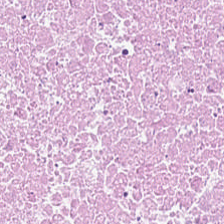Hematoxylin and eosin.
Q: Classify this patch.
A: The field shows necrotic debris.
